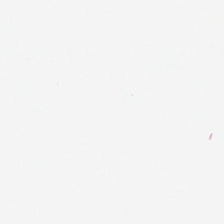H&E stain. Impression → empty background.
